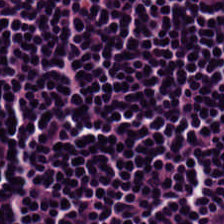Hematoxylin-and-eosin stained section — This field is lymphoid infiltrate.
